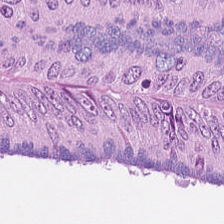Histology — tumor epithelium.
